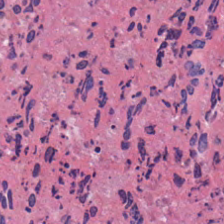The tissue here is necrotic debris.
